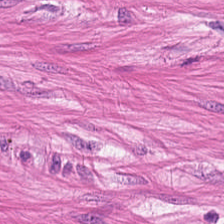Hematoxylin and eosin. Finding → smooth-muscle tissue.
